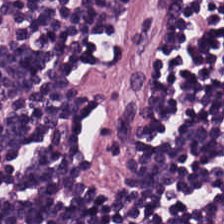H&E — lymphocytic infiltrate.
